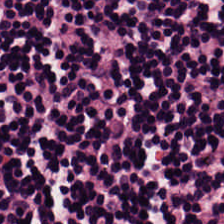H&E — Q: What is shown here?
A: This is lymphoid infiltrate.
